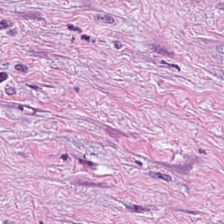H&E-stained tissue section — This field is tumor stroma.
